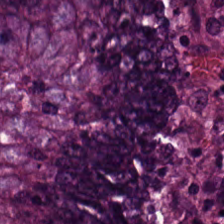H&E-stained section; the field shows tumor epithelium.
